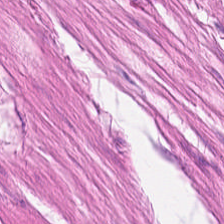Hematoxylin and eosin · 0.5 µm per pixel. Impression — smooth-muscle tissue.
